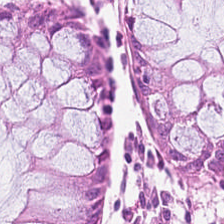20× equivalent magnification · H&E-stained tissue section. The classification is normal colon mucosa.
